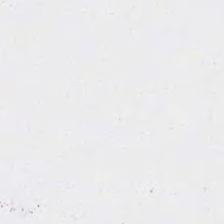FFPE; whole-slide-image patch; hematoxylin and eosin. Empty field — empty background.
